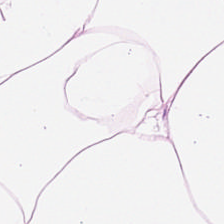Hematoxylin and eosin — Classification — adipocytes.
